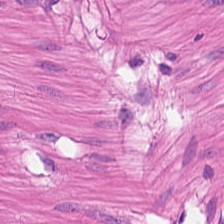WSI patch · H&E-stained tissue section — The predominant tissue is muscularis.
